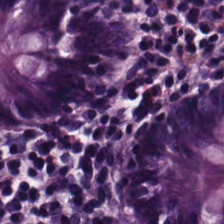20× equivalent magnification; H&E stain; WSI patch. Q: What tissue is shown?
A: Normal colonic mucosa.
